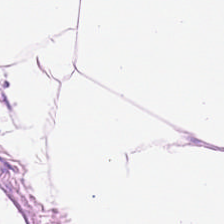H&E stain.
Tissue = fat tissue.
